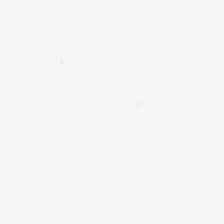224×224 px patch. Hematoxylin and eosin — Content: empty background.
